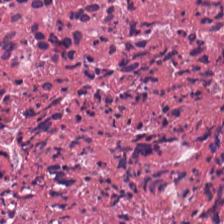Stain: H&E stain.
Resolution: 20× equivalent magnification.
Acquisition: whole-slide-image patch.
Tissue: cellular debris.
